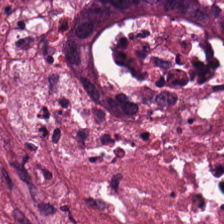Q: What is shown here?
A: It is debris.
